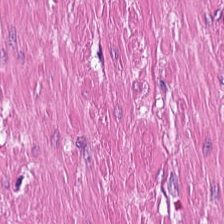Hematoxylin-and-eosin stained section. Classification — muscularis.
